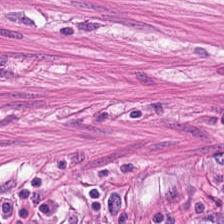Stain: hematoxylin and eosin.
Tissue type: smooth-muscle tissue.
